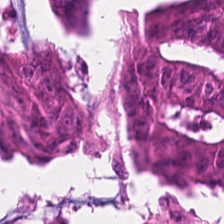H&E-stained tissue section. The tissue here is tumor epithelium.
